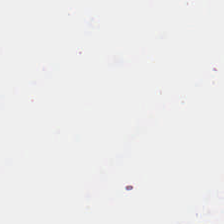Hematoxylin and eosin; formalin-fixed paraffin-embedded section. This patch shows no tissue.
